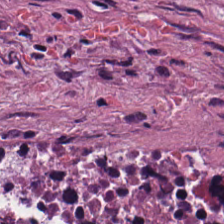FFPE. H&E stain.
{"tissue_type": "tumor-associated stroma"}
